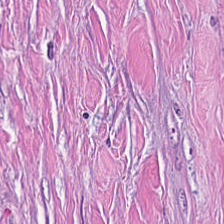H&E stain. The tissue here is desmoplastic stroma.
